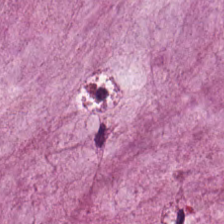Q: Identify the tissue.
A: The field shows mucus.
